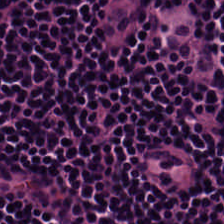Stain: hematoxylin-and-eosin stained section.
Predominant tissue: lymphocyte aggregate.
